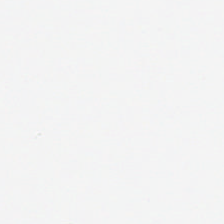Finding — background.
